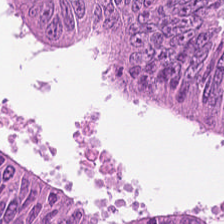FFPE · hematoxylin and eosin.
{"tissue_type": "colorectal adenocarcinoma"}
